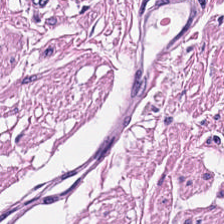Brightfield microscopy · H&E · 224×224 px patch. The tissue here is muscularis.
